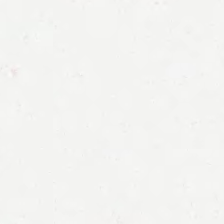{"content": "background (no tissue)"}
